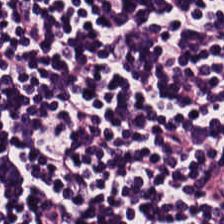H&E — lymphocyte aggregate.
